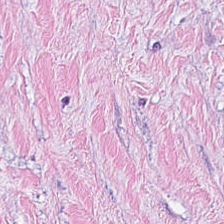H&E. Predominantly tumor stroma.
